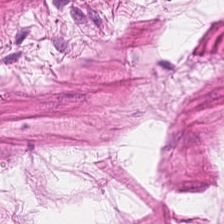Hematoxylin-and-eosin stained section. 224×224 px patch.
Finding — smooth muscle.
